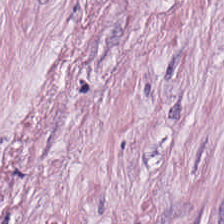H&E. 0.5 µm per pixel. The predominant tissue is cancer-associated stroma.
